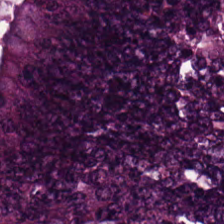H&E · whole-slide-image patch · 20× equivalent magnification.
The tissue class is colorectal adenocarcinoma epithelium.
